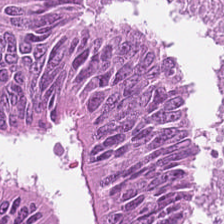H&E-stained tissue section — Q: What type of tissue is this?
A: This is colorectal adenocarcinoma.
